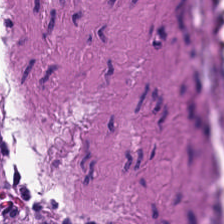Q: What tissue type is shown here?
A: It is smooth muscle.
